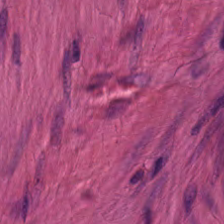The predominant tissue is smooth muscle.
